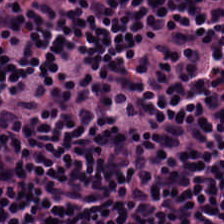Impression — lymphoid infiltrate.
